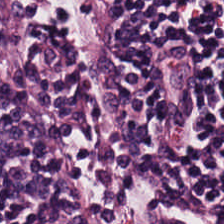Hematoxylin-and-eosin stained section — Lymphocytes.
